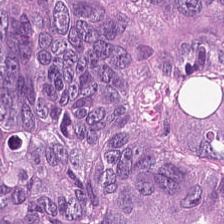H&E — Classification = tumor epithelium.
